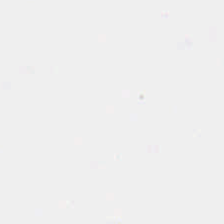FFPE tissue section · H&E.
Empty field — background (no tissue).
